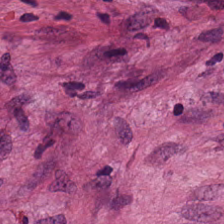H&E stain; 0.5 µm per pixel.
The predominant tissue is tumor-associated stroma.
